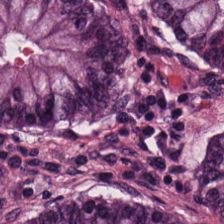H&E — Classification: benign colonic mucosa.
